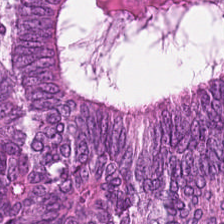Brightfield · H&E-stained tissue section · 224×224 px patch.
Showing colorectal adenocarcinoma.
